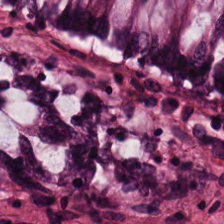Predominant tissue = normal colonic mucosa.
